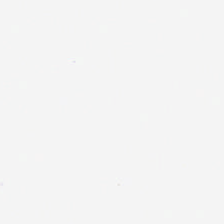No tissue present; background only.
